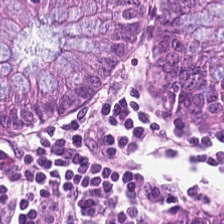0.5 µm/px · FFPE tissue section · H&E stain — Classification — normal colonic mucosa.
